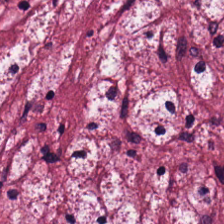0.5 µm per pixel · hematoxylin and eosin.
Tissue class = tumor-associated stroma.
